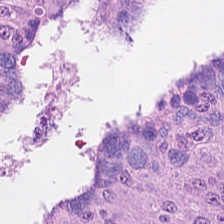H&E — Showing malignant epithelium.
